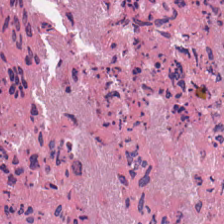H&E stain.
Q: What is the predominant tissue type?
A: This is cellular debris.
